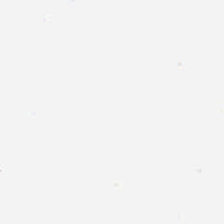H&E-stained tissue section — This patch shows background.
